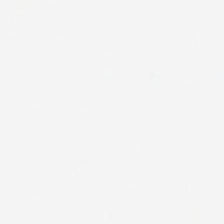Stain: H&E-stained tissue section.
Field content: background.
